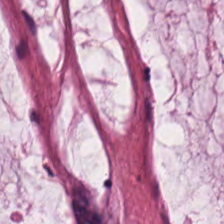Hematoxylin-and-eosin section: mucus.
